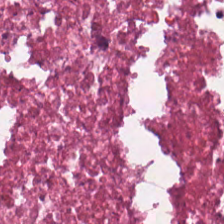Hematoxylin and eosin. FFPE.
Histology — cellular debris.
